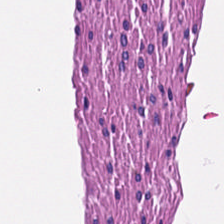H&E. Whole-slide-image patch.
Smooth-muscle tissue.
